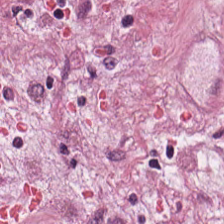H&E stain. The tissue is cancer-associated stroma.
